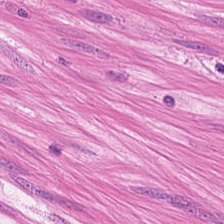H&E — Smooth muscle.
